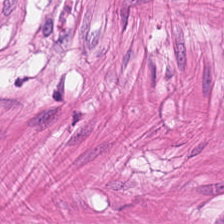Hematoxylin and eosin. Finding — smooth muscle.
